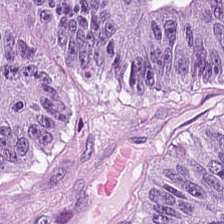Hematoxylin and eosin.
The predominant tissue is colorectal adenocarcinoma.
